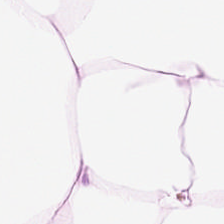Histology — adipose tissue.
